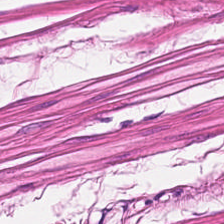H&E-stained tissue section; brightfield. Finding → smooth muscle.
